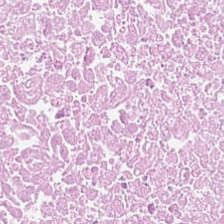H&E-stained tissue section · 224×224 px tile.
{"tissue_type": "necrotic debris"}
